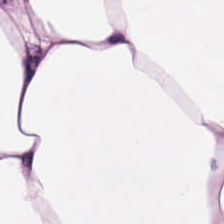H&E. FFPE tissue section.
Impression → fat tissue.
